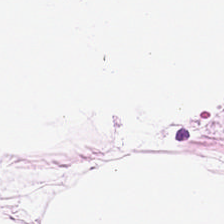H&E.
Fat tissue.
